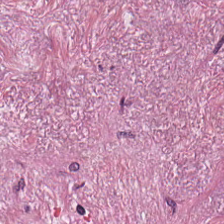Hematoxylin and eosin.
The tissue is desmoplastic stroma.
